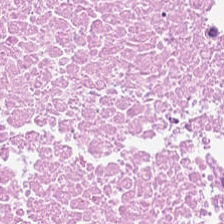0.5 µm/px. Hematoxylin and eosin. Predominantly necrotic debris.
